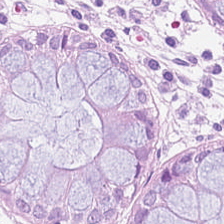Stain: hematoxylin and eosin.
Acquisition: brightfield.
Preparation: formalin-fixed paraffin-embedded section.
Tissue: non-neoplastic colon mucosa.
